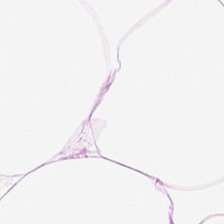H&E-stained tissue section; 20× equivalent magnification.
Q: What type of tissue is this?
A: The field shows adipose.
